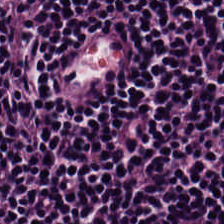WSI patch · H&E. The tissue is lymphoid infiltrate.
